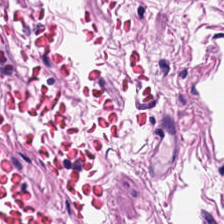Hematoxylin-and-eosin stained section; 0.5 µm/px.
{"tissue_type": "muscularis"}
